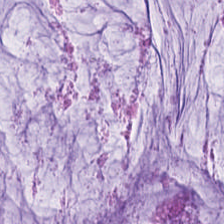Whole-slide-image patch · FFPE · H&E. Q: What type of tissue is this?
A: Mucus.
